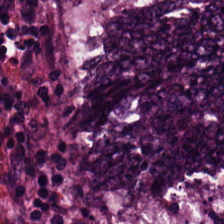Stain: H&E-stained tissue section.
Tissue class: adenocarcinoma.
